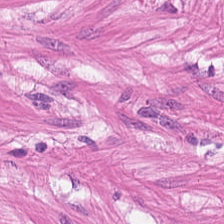Tissue: muscularis.
